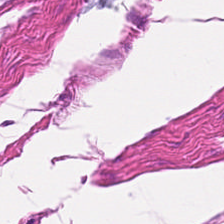Q: What is the predominant tissue type?
A: The field shows smooth muscle.
